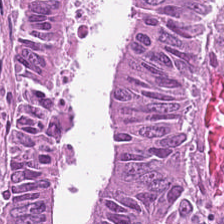Stain: hematoxylin-and-eosin stained section.
Tissue: malignant epithelium.
